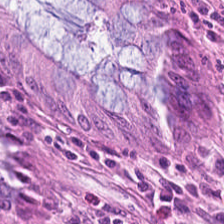H&E stain. Whole-slide-image patch. This patch shows normal colon mucosa.
